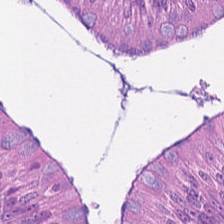Stain: hematoxylin-and-eosin stained section.
Predominant tissue: tumor epithelium.
